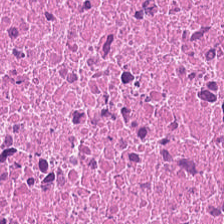Tissue type = necrotic debris.
